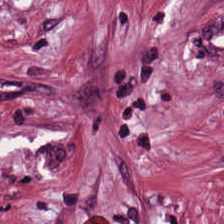H&E stain. The tissue type is desmoplastic stroma.
